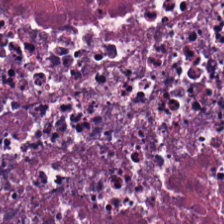H&E-stained section; the field shows debris.
